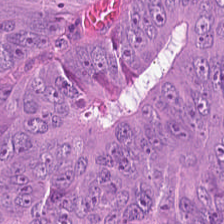H&E-stained tissue section.
Q: What is shown here?
A: It is malignant epithelium.
